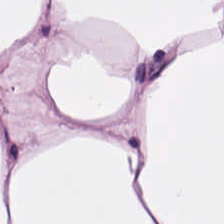Stain: H&E stain.
Tissue type: adipocytes.
